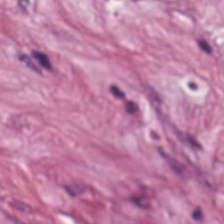Stain: hematoxylin-and-eosin stained section.
Tile size: 224×224 pixel tile.
Tissue class: cancer-associated stroma.
